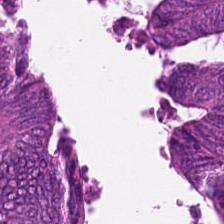H&E stain.
Predominantly tumor epithelium.
